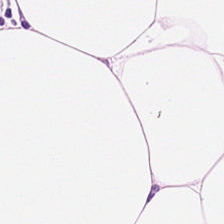Stain: H&E stain.
Resolution: 0.5 µm per pixel.
Tile size: 224×224 pixel tile.
Predominant tissue: adipose.
